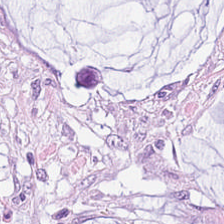Hematoxylin and eosin · 0.5 µm per pixel.
Predominant tissue — mucus.
